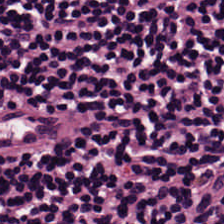H&E-stained tissue section. Q: What tissue type is shown here?
A: Lymphocyte aggregate.
